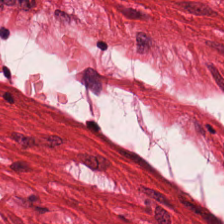H&E stain. Q: Classify this patch.
A: It is smooth-muscle tissue.
